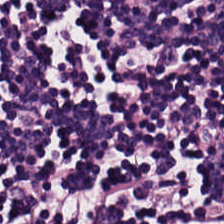H&E.
Classification — lymphocytes.
